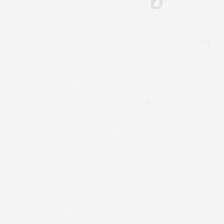Hematoxylin and eosin — Empty field — background.
